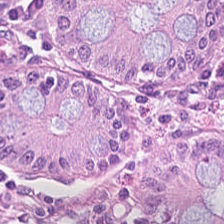Tissue = normal colonic mucosa.
